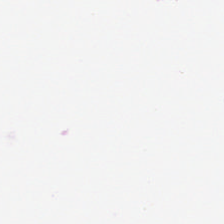Stain: hematoxylin-and-eosin stained section.
Field content: empty background.
